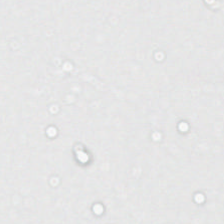Hematoxylin-and-eosin stained section. 0.5 µm per pixel. 224×224 pixel tile — Background — no tissue in this field.
